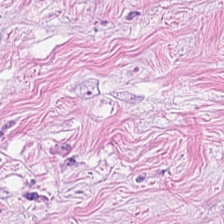Formalin-fixed paraffin-embedded section. H&E stain. 224×224 pixel tile. Predominantly tumor stroma.
